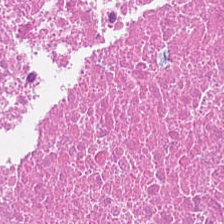Hematoxylin-and-eosin stained section — Predominant tissue = debris.
